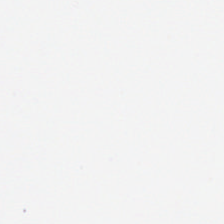Hematoxylin and eosin. Background — no tissue in this field.
